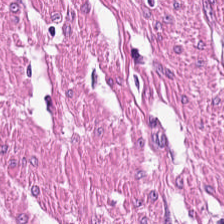Stain: hematoxylin and eosin.
Acquisition: brightfield microscopy.
Preparation: formalin-fixed paraffin-embedded section.
Predominant tissue: muscularis.
